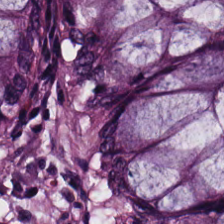This field is normal colon mucosa.
